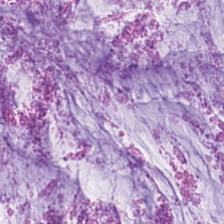H&E stain.
This field is mucus.
